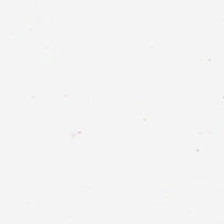Whole-slide-image patch. 0.5 µm/px. H&E stain.
Background — no tissue in this field.
